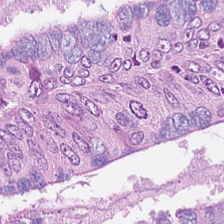H&E-stained tissue section; FFPE tissue section; brightfield. The tissue here is colorectal adenocarcinoma.
